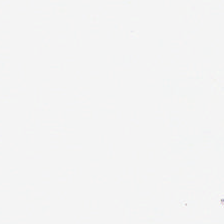H&E stain · FFPE · brightfield. The classification is empty background.
